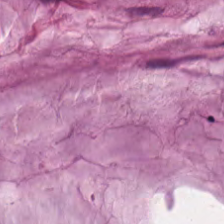Impression → mucus.
